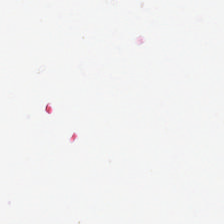Hematoxylin-and-eosin stained section · FFPE.
Background — no tissue in this field.
